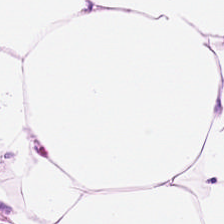Hematoxylin and eosin; 224×224 px tile; 0.5 microns per pixel.
Predominantly adipose tissue.
